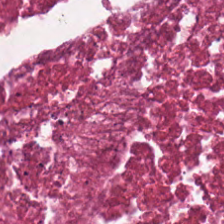This patch shows debris.
